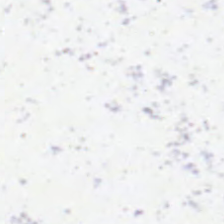Hematoxylin-and-eosin stained section.
Empty field — background.
